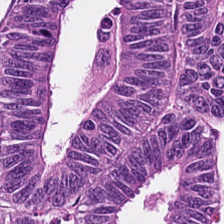H&E stain.
Predominantly colorectal adenocarcinoma epithelium.
